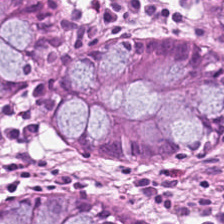H&E — Tissue type: benign colonic mucosa.
